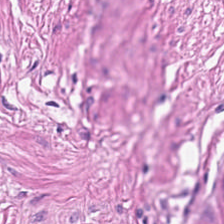Stain: H&E.
Tissue type: muscularis.
